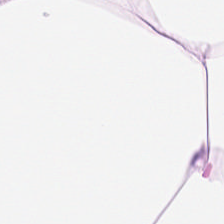224×224 pixel tile · hematoxylin-and-eosin stained section. Tissue = adipose tissue.
